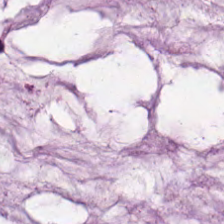Hematoxylin and eosin; 224×224 px patch — Predominantly mucus.
